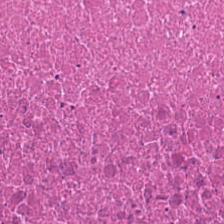Hematoxylin-and-eosin stained section.
Tissue — cellular debris.
